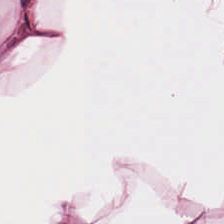0.5 µm per pixel. Hematoxylin and eosin. WSI patch — Histology — adipose tissue.
